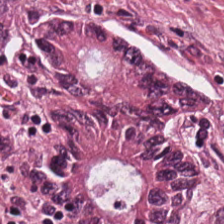Whole-slide-image patch. H&E — Adenocarcinoma.
